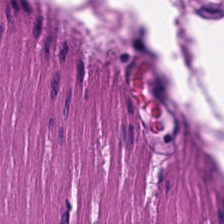Hematoxylin and eosin.
Q: Classify this patch.
A: It is smooth-muscle tissue.
